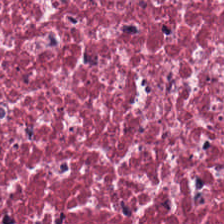Formalin-fixed paraffin-embedded section · H&E-stained tissue section · brightfield. Q: What is shown here?
A: Desmoplastic stroma.
